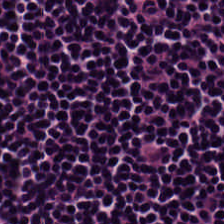Predominant tissue — lymphocytic infiltrate.
